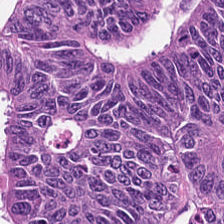H&E-stained tissue section — Tissue — colorectal adenocarcinoma epithelium.
